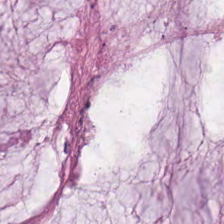H&E-stained tissue section — The predominant tissue is mucus.
